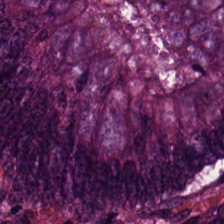H&E stain; WSI patch — The tissue here is colorectal adenocarcinoma.
